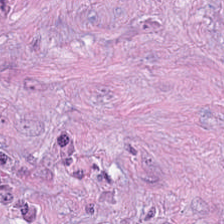0.5 microns per pixel · formalin-fixed paraffin-embedded section · H&E.
Q: Identify the tissue.
A: The field shows tumor-associated stroma.
